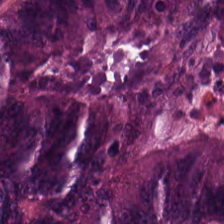0.5 microns per pixel. H&E — Predominantly tumor epithelium.
